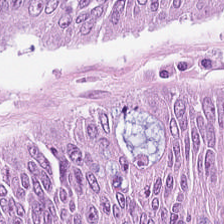WSI patch; H&E-stained tissue section.
Q: What does this patch show?
A: This is colorectal adenocarcinoma epithelium.
